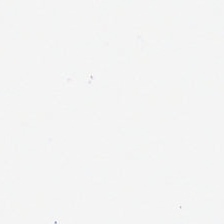Stain: H&E stain.
Field content: no tissue.
